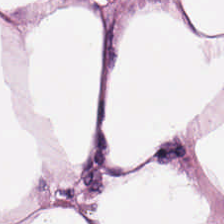Hematoxylin and eosin. Whole-slide-image patch. Predominantly adipocytes.
